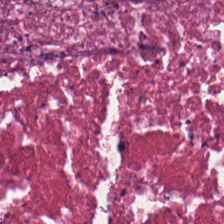H&E-stained tissue section. Necrotic debris.
